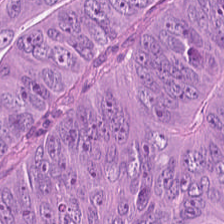The tissue here is adenocarcinoma.
